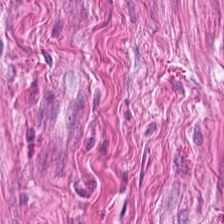H&E stain.
Tissue class — muscularis.
